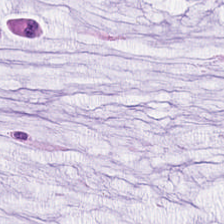Brightfield microscopy; 224×224 px patch; H&E — The predominant tissue is mucus.
